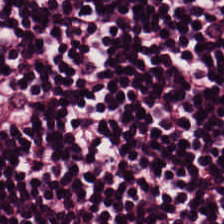Brightfield microscopy; 224×224 pixel tile; hematoxylin-and-eosin stained section.
Q: Identify the tissue.
A: This is lymphocytic infiltrate.
